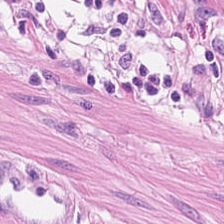H&E — muscularis.
